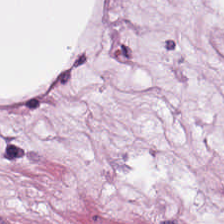Hematoxylin-and-eosin stained section. Tissue = adipose.
